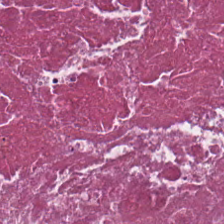224×224 pixel tile. H&E-stained tissue section. Showing debris.
